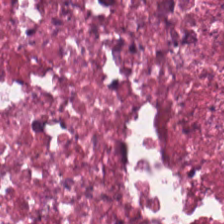0.5 µm/px. H&E-stained tissue section. 224×224 pixel tile — Q: What is shown in this field?
A: It is debris.
